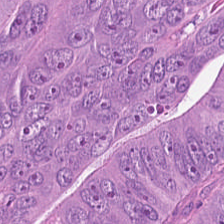Hematoxylin-and-eosin stained section.
The predominant tissue is adenocarcinoma.
